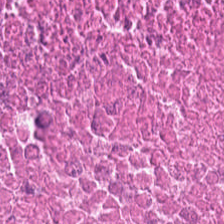0.5 microns per pixel; hematoxylin-and-eosin stained section.
Tissue = necrotic debris.
